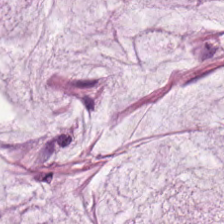Hematoxylin-and-eosin stained section. This patch shows mucus.
